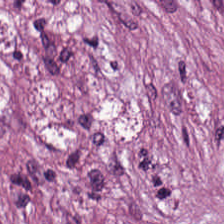Hematoxylin-and-eosin stained section. The predominant tissue is tumor-associated stroma.
